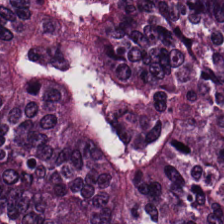H&E-stained tissue section. 0.5 µm per pixel. Formalin-fixed paraffin-embedded section — The tissue here is tumor epithelium.
